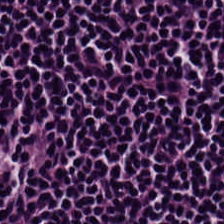H&E — Predominantly lymphocyte aggregate.
